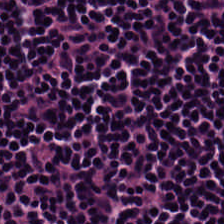H&E stain — The tissue here is lymphocyte aggregate.
